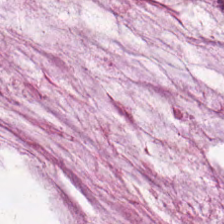FFPE tissue section. Hematoxylin and eosin. Brightfield.
Histology — mucus.
